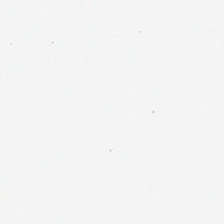Brightfield microscopy. H&E-stained tissue section. FFPE — Q: What is shown in this field?
A: Background (no tissue).
